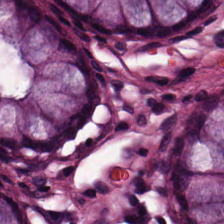The tissue class is normal colon mucosa.
